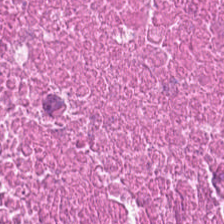Q: What is shown here?
A: The field shows cellular debris.
